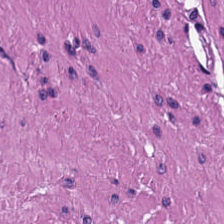H&E stain. 224×224 px tile. Q: What tissue is shown?
A: Smooth-muscle tissue.
